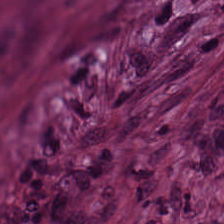Hematoxylin-and-eosin stained section.
This patch shows cancer-associated stroma.
